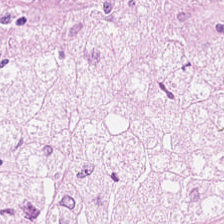H&E. The predominant tissue is tumor-associated stroma.
